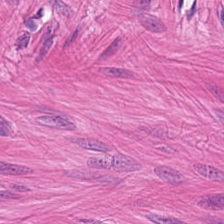H&E-stained tissue section — Showing smooth-muscle tissue.
